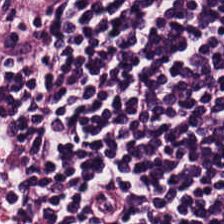Stain: H&E stain.
Tissue type: lymphocyte aggregate.
